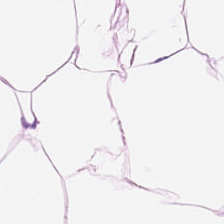FFPE. H&E stain.
Fat tissue.
